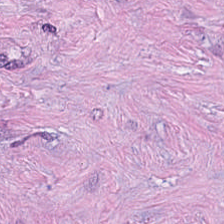Stain: H&E stain.
Classification: cancer-associated stroma.
